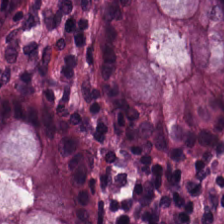H&E stain. 0.5 µm/px. Q: What is the predominant tissue type?
A: This is normal colonic mucosa.
